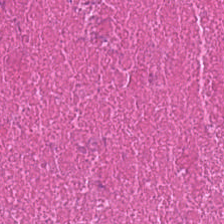Stain: H&E.
Acquisition: whole-slide-image patch.
Tissue class: debris.
